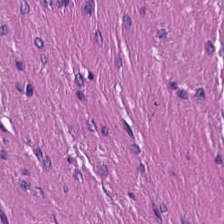Tissue class: smooth-muscle tissue.
